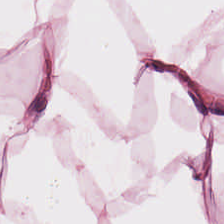H&E stain · 224×224 px tile. The tissue is fat tissue.
